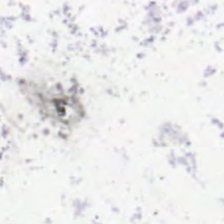Background — no tissue in this field.
